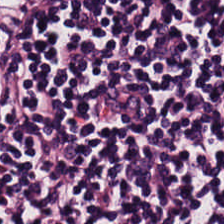Lymphocytic infiltrate.
